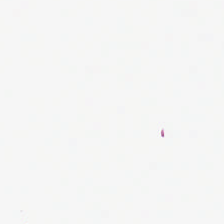Stain: H&E.
Classification: background (no tissue).
